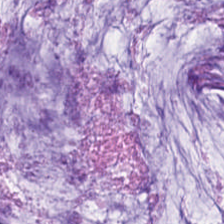H&E-stained tissue section; 224×224 px tile. The tissue is mucus.
